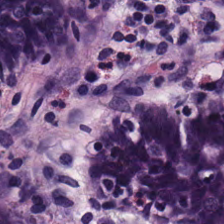H&E-stained tissue section.
The tissue type is non-neoplastic colon mucosa.
